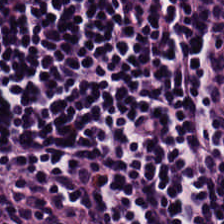Stain: H&E-stained tissue section.
Resolution: 20× equivalent magnification.
Acquisition: WSI patch.
Predominant tissue: lymphocytic infiltrate.
